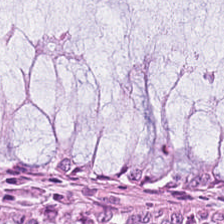{"tissue_type": "normal colon mucosa"}
